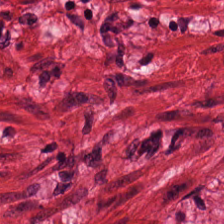20× equivalent magnification; hematoxylin and eosin; formalin-fixed paraffin-embedded section — Smooth-muscle tissue.
